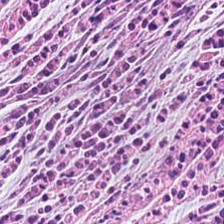Hematoxylin-and-eosin stained section — The tissue here is desmoplastic stroma.
